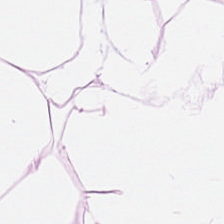Hematoxylin and eosin — The tissue class is adipose tissue.
